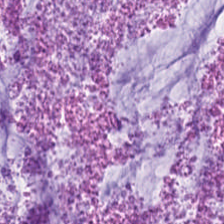The tissue is mucin.
